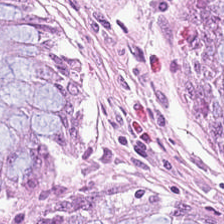H&E stain · FFPE — Finding → normal colonic mucosa.
